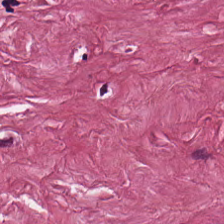Hematoxylin-and-eosin stained section. Brightfield microscopy. Formalin-fixed paraffin-embedded section.
Tissue class: tumor-associated stroma.
